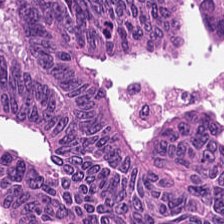Stain: H&E-stained tissue section.
Acquisition: brightfield microscopy.
Tissue type: colorectal adenocarcinoma epithelium.
